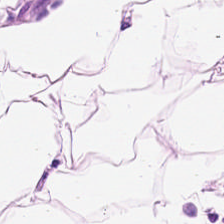H&E stain — Classification: adipose.
